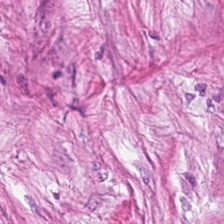Predominant tissue = tumor-associated stroma.
